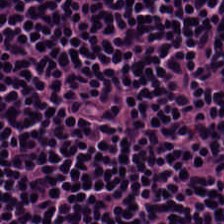H&E. 20× equivalent magnification.
Q: What type of tissue is this?
A: This is lymphocytes.
